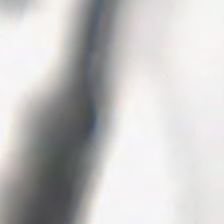Hematoxylin and eosin · 0.5 µm/px · 224×224 px patch. Q: What is shown here?
A: This is background.
